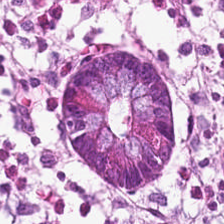The tissue here is normal colon mucosa.
